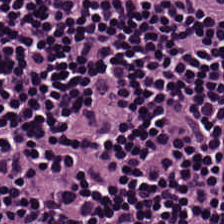Brightfield · hematoxylin-and-eosin stained section — Q: What type of tissue is this?
A: This is lymphocyte aggregate.
